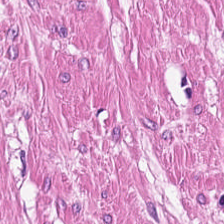Hematoxylin-and-eosin stained section · 224×224 pixel tile.
This field is muscularis.
